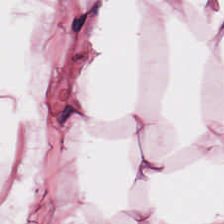Stain: H&E.
Resolution: 0.5 microns per pixel.
Tissue: adipose tissue.
